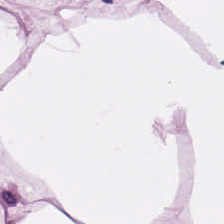FFPE · 0.5 µm per pixel · hematoxylin and eosin. Predominant tissue: fat tissue.
